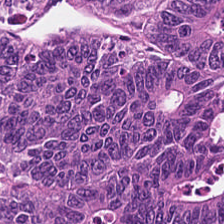H&E.
Histology → adenocarcinoma.
